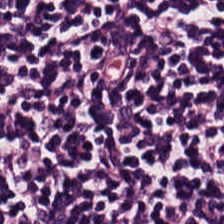Q: What tissue type is shown here?
A: The field shows lymphoid infiltrate.
